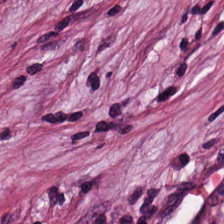Stain: H&E-stained tissue section.
Tissue type: tumor stroma.
